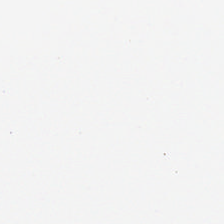Hematoxylin and eosin. Formalin-fixed paraffin-embedded section. Whole-slide-image patch. Background.
